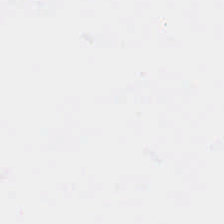Q: What is shown here?
A: It is empty background.
